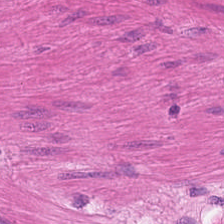Hematoxylin-and-eosin stained section.
The predominant tissue is smooth-muscle tissue.
